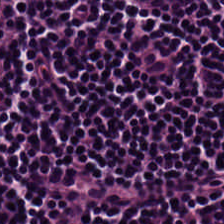Predominant tissue = lymphocyte aggregate.
